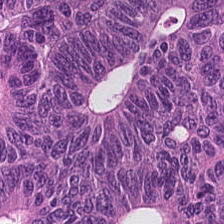H&E-stained tissue section — The predominant tissue is malignant epithelium.
